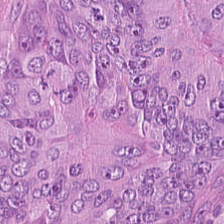Whole-slide-image patch. H&E-stained tissue section — Showing adenocarcinoma.
